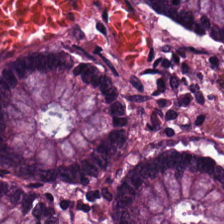H&E stain.
Impression — benign colonic mucosa.
